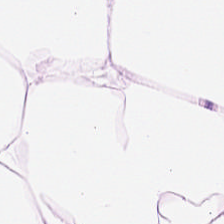Stain: H&E.
Predominant tissue: adipose.
